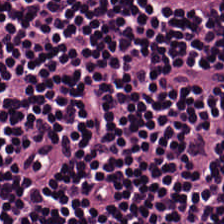Brightfield microscopy · 224×224 px patch · H&E — This patch shows lymphocytic infiltrate.
